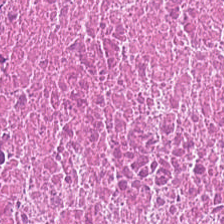Hematoxylin-and-eosin stained section.
Classification: necrotic debris.
